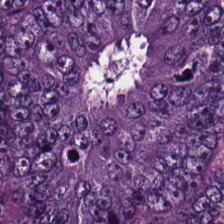Hematoxylin and eosin — Q: What tissue type is shown here?
A: It is adenocarcinoma.
